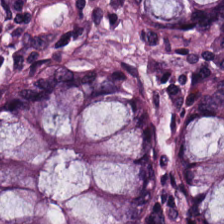H&E-stained tissue section showing normal colonic mucosa.
